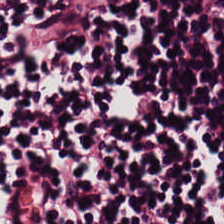Classification — lymphocyte aggregate.
